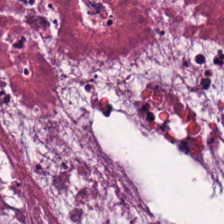224×224 pixel tile; H&E; formalin-fixed paraffin-embedded section — Tissue type — debris.
